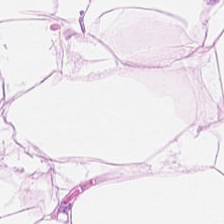H&E-stained section; the field shows adipocytes.
